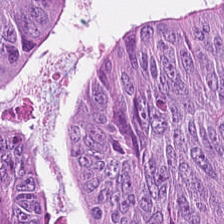Hematoxylin-and-eosin stained section.
This field is malignant epithelium.
